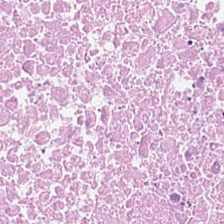H&E · 0.5 microns per pixel.
Tissue class: necrotic debris.
